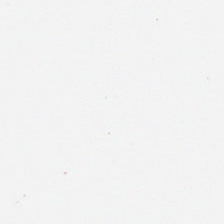Hematoxylin and eosin — Q: Classify this patch.
A: It is no tissue.
